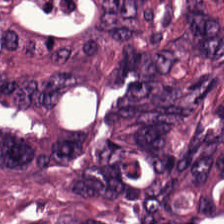Hematoxylin and eosin; 224×224 px tile. Classification = malignant epithelium.
